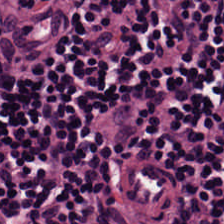Hematoxylin and eosin — Tissue class — lymphocytes.
